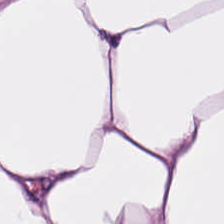Stain: hematoxylin-and-eosin stained section.
Resolution: 20× equivalent magnification.
Predominant tissue: fat tissue.
